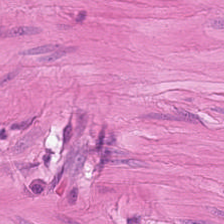Tissue type = muscularis.
